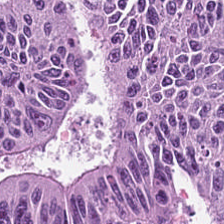H&E-stained tissue section · 0.5 µm per pixel.
Q: What tissue type is shown here?
A: Colorectal adenocarcinoma.
